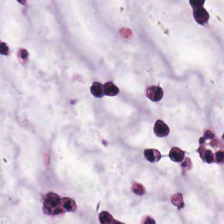Hematoxylin and eosin; whole-slide-image patch.
The predominant tissue is mucin.
